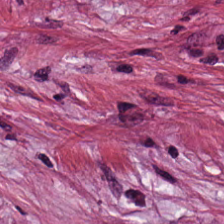Hematoxylin-and-eosin stained section; 224×224 pixel tile.
Tissue class — cancer-associated stroma.
